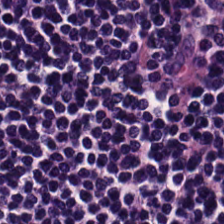Hematoxylin-and-eosin stained section · FFPE.
Tissue: lymphocytes.
